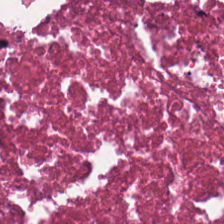0.5 microns per pixel. Hematoxylin and eosin. Brightfield.
The predominant tissue is debris.
